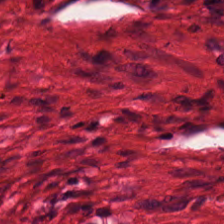H&E-stained tissue section. 224×224 px tile. {"tissue_type": "smooth-muscle tissue"}
